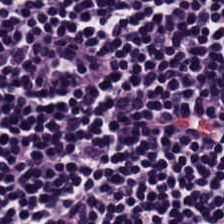The predominant tissue is lymphocytic infiltrate.
